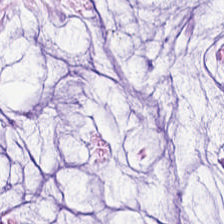FFPE tissue section. H&E. WSI patch — Q: What tissue type is shown here?
A: Extracellular mucin.
